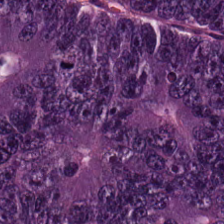Stain: hematoxylin-and-eosin stained section.
Preparation: FFPE tissue section.
Tissue class: colorectal adenocarcinoma epithelium.
